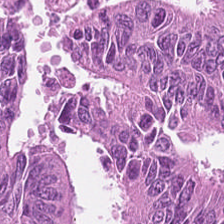This patch shows malignant epithelium.
